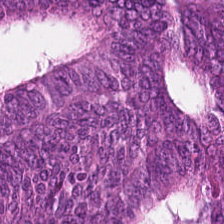The tissue here is tumor epithelium.
